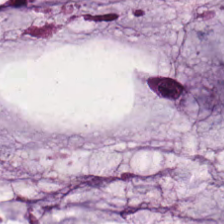Impression — extracellular mucin.
